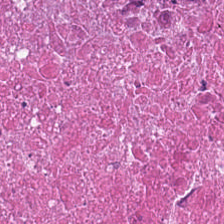Cellular debris.
